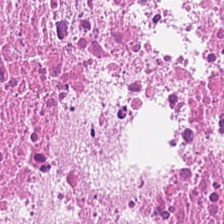224×224 pixel tile. H&E. This patch shows debris.
